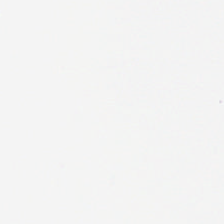Classification = background (no tissue).
